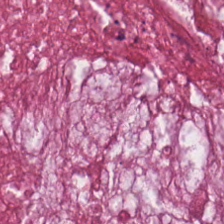H&E — The tissue class is mucus.
